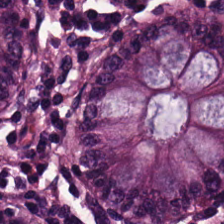Hematoxylin-and-eosin stained section. Tissue class — normal colon mucosa.
